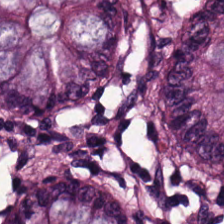FFPE tissue section · H&E stain · 224×224 pixel tile. Showing benign colonic mucosa.
